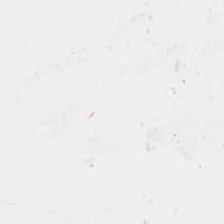Hematoxylin and eosin. 224×224 px patch — Classification — empty background.
